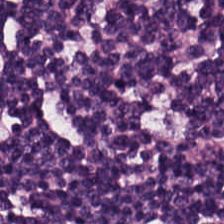FFPE · H&E. Predominant tissue = lymphocyte aggregate.
